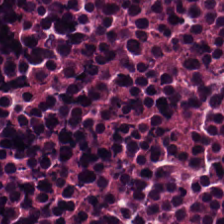H&E stain — The tissue is cellular debris.
